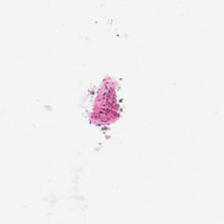Hematoxylin-and-eosin stained section. Empty field — background (no tissue).
